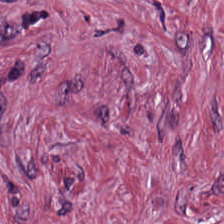This patch shows cancer-associated stroma.
